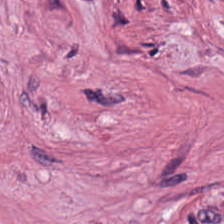Stain: H&E-stained tissue section.
Predominant tissue: desmoplastic stroma.
